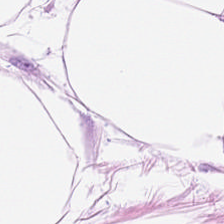H&E-stained tissue section. 224×224 px patch. Showing adipocytes.
